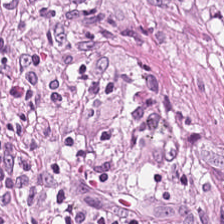Hematoxylin and eosin · 224×224 px patch — Q: What is the predominant tissue type?
A: Tumor-associated stroma.
